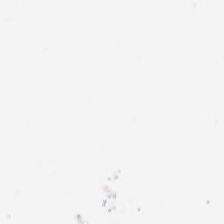H&E — {"content": "background (no tissue)"}
